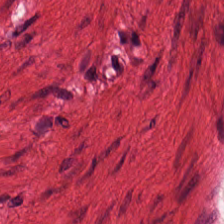Hematoxylin-and-eosin stained section; formalin-fixed paraffin-embedded section. Predominantly smooth-muscle tissue.
